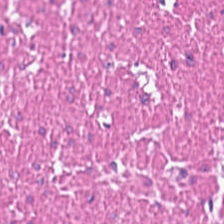Classification = smooth muscle.
